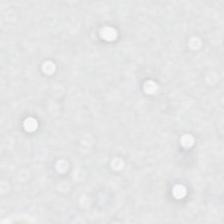Empty field — background (no tissue).
